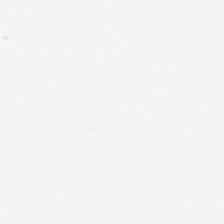This field is background (no tissue).
